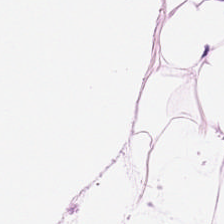H&E · FFPE — Tissue type = adipose tissue.
